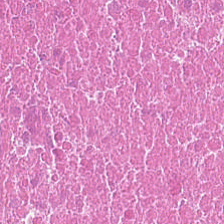Tissue — cellular debris.
